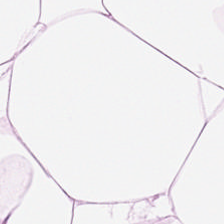H&E — The classification is fat tissue.
